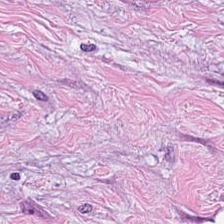H&E-stained tissue section. Tissue: desmoplastic stroma.
